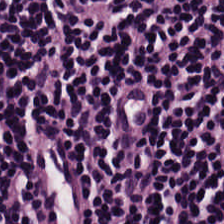0.5 µm/px; hematoxylin and eosin — The classification is lymphocytes.
